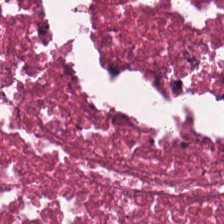20× equivalent magnification · hematoxylin-and-eosin stained section · FFPE.
Classification = debris.
